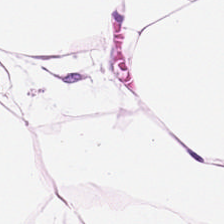Predominantly adipocytes.
